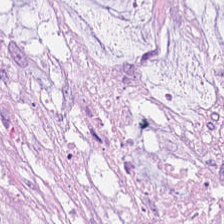Formalin-fixed paraffin-embedded section · H&E · 0.5 microns per pixel.
Predominant tissue = extracellular mucin.
